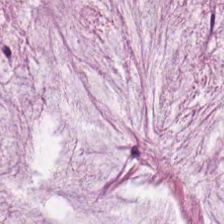Hematoxylin-and-eosin stained section. This patch shows extracellular mucin.
